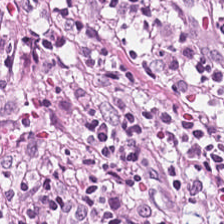Predominant tissue — desmoplastic stroma.
